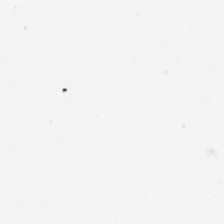Q: Classify this patch.
A: Background.
